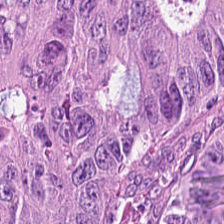H&E. {"tissue_type": "colorectal adenocarcinoma epithelium"}
